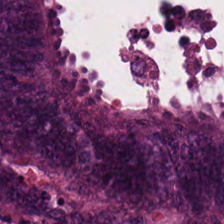224×224 px patch; 20× equivalent magnification; H&E.
The predominant tissue is colorectal adenocarcinoma.
